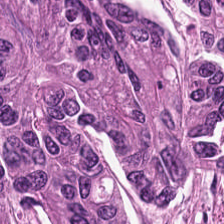224×224 px tile; H&E-stained tissue section.
The tissue type is colorectal adenocarcinoma epithelium.
